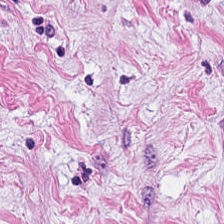Formalin-fixed paraffin-embedded section · H&E-stained tissue section.
The tissue here is cancer-associated stroma.
